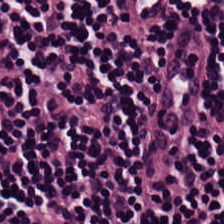H&E-stained tissue section. Q: What is shown in this field?
A: Lymphocytes.
